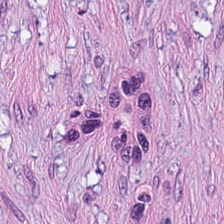Classification: desmoplastic stroma.
